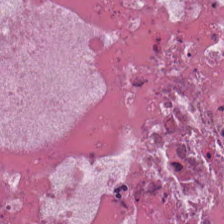Hematoxylin-and-eosin section: necrotic debris.
